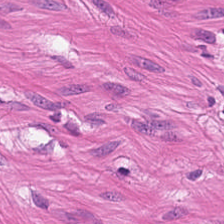Hematoxylin-and-eosin stained section.
{"tissue_type": "smooth-muscle tissue"}
